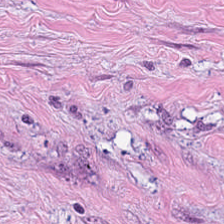H&E-stained tissue section — Q: Classify this patch.
A: Tumor stroma.
